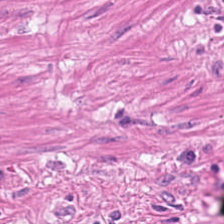H&E-stained tissue section — Finding — smooth muscle.
